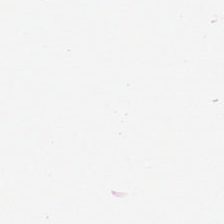H&E. 0.5 µm per pixel.
Tissue class: adipose.
